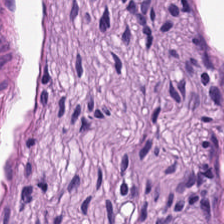H&E stain.
Predominant tissue = smooth muscle.
